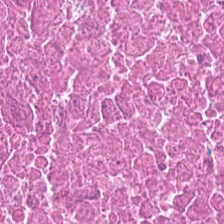H&E stain — Q: What is shown here?
A: The field shows debris.
